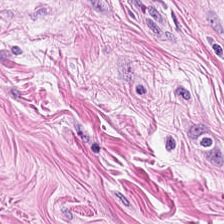H&E-stained tissue section — The tissue here is muscularis.
